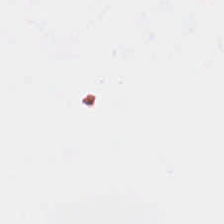Field content — background.
